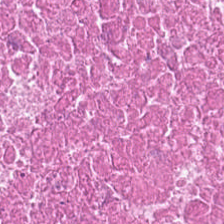H&E-stained tissue section — Q: Classify this patch.
A: This is debris.
